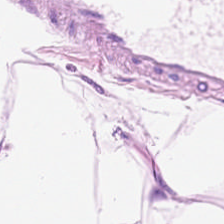H&E stain · 0.5 µm/px.
Tissue type — adipose tissue.
